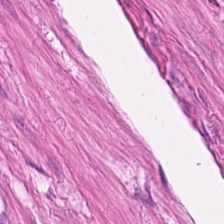0.5 µm/px. 224×224 px patch. H&E-stained tissue section — Q: What tissue is shown?
A: The field shows smooth muscle.
